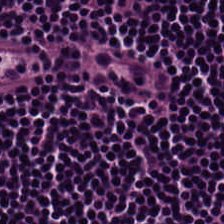Brightfield microscopy. 224×224 px tile. H&E-stained tissue section. Tissue — lymphoid infiltrate.
